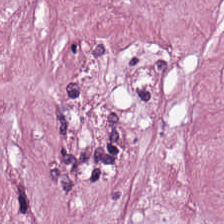Predominantly cancer-associated stroma.
